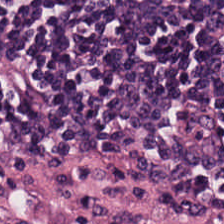H&E — This patch shows lymphocytes.
